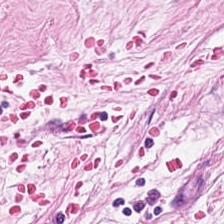20× equivalent magnification; brightfield microscopy; H&E — Tissue type = tumor stroma.
